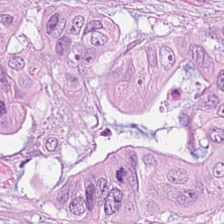H&E. This field is malignant epithelium.
